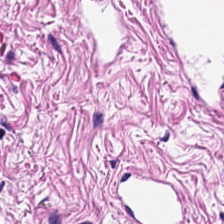Tissue type — muscularis.
